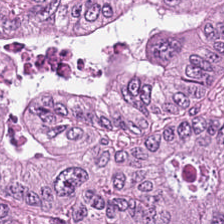H&E stain — Q: What tissue type is shown here?
A: The field shows malignant epithelium.
